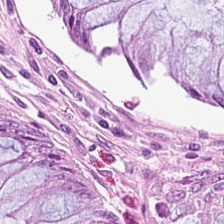Q: What does this patch show?
A: Normal colon mucosa.
